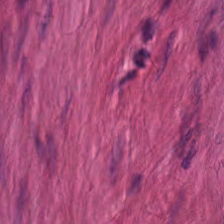Hematoxylin-and-eosin stained section. Predominant tissue = smooth muscle.
